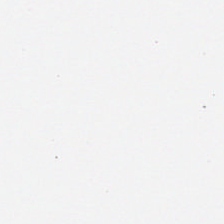H&E stain.
This field is background (no tissue).
